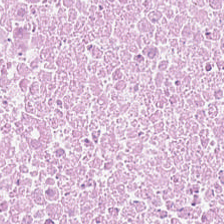Showing debris.
